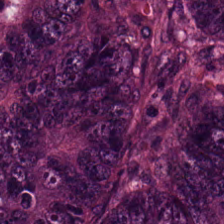H&E-stained tissue section.
The tissue is tumor epithelium.
